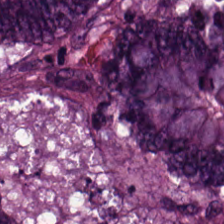224×224 pixel tile; 0.5 µm per pixel; hematoxylin and eosin. Colorectal adenocarcinoma.
